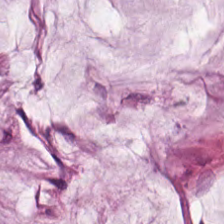H&E-stained section; the field shows extracellular mucin.
